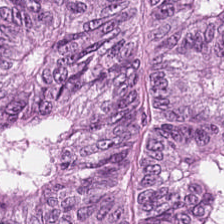Q: What does this patch show?
A: The field shows adenocarcinoma.
